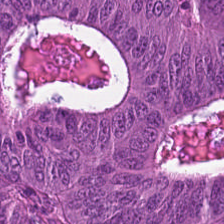Hematoxylin-and-eosin stained section. Histology → adenocarcinoma.
